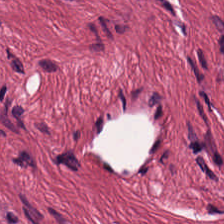The tissue type is desmoplastic stroma.
